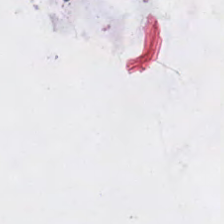Brightfield. 224×224 pixel tile. H&E — The field content is background.
